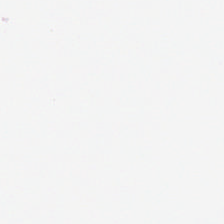Hematoxylin and eosin. Empty field — no tissue.
